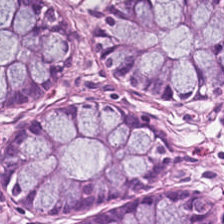Hematoxylin-and-eosin stained section — Finding → non-neoplastic colon mucosa.
